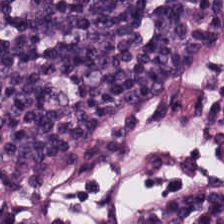H&E-stained tissue section.
Predominantly lymphocyte aggregate.
